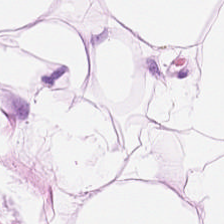Hematoxylin and eosin · WSI patch.
Impression — adipose tissue.
